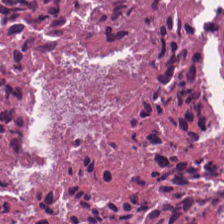Q: What tissue is shown?
A: It is debris.
